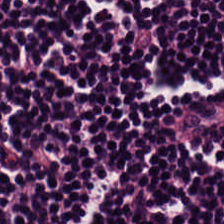H&E stain · FFPE tissue section · 0.5 microns per pixel. This field is lymphocytes.
